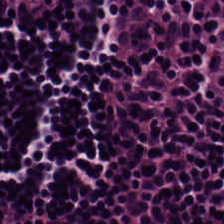Hematoxylin-and-eosin stained section. This field is lymphocytic infiltrate.
